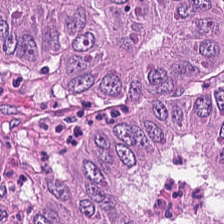Stain: H&E stain.
Tissue class: colorectal adenocarcinoma.
